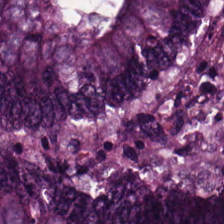H&E-stained tissue section · whole-slide-image patch · 224×224 px tile. Predominant tissue: colorectal adenocarcinoma epithelium.
